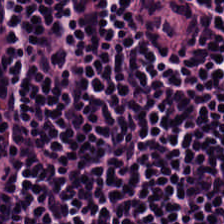Hematoxylin and eosin; brightfield microscopy; 0.5 µm/px.
Classification = lymphocytic infiltrate.
